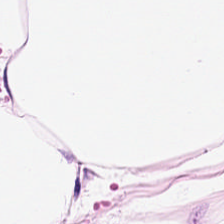H&E. Showing adipose.
